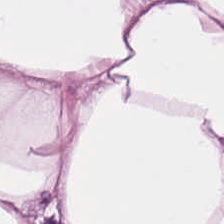Stain: hematoxylin and eosin.
Tile size: 224×224 pixel tile.
Tissue type: adipose tissue.
